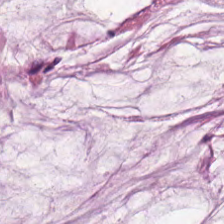The tissue type is extracellular mucin.
